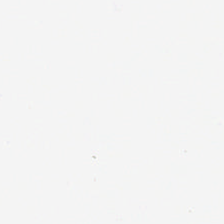H&E — Q: What does this patch show?
A: It is empty background.
